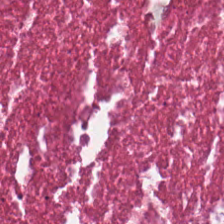H&E; brightfield — This patch shows debris.
